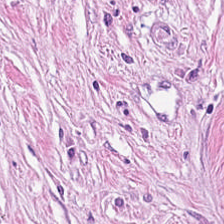{"tissue_type": "cancer-associated stroma"}
